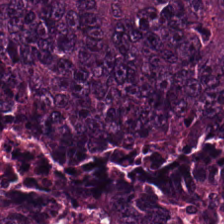Hematoxylin and eosin · FFPE — Predominant tissue = adenocarcinoma.
